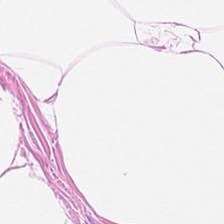Hematoxylin-and-eosin stained section · 0.5 µm per pixel. Showing adipose tissue.
